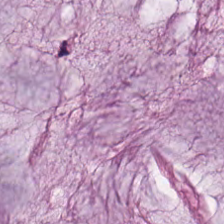Hematoxylin and eosin; 224×224 pixel tile. Tissue — mucus.
